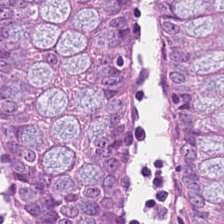Stain: hematoxylin-and-eosin stained section.
Resolution: 0.5 µm per pixel.
Tissue: non-neoplastic colon mucosa.
